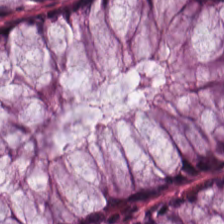H&E stain.
Classification: normal colon mucosa.
